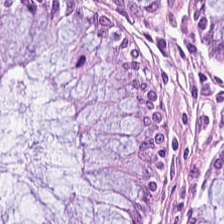H&E; whole-slide-image patch; 0.5 microns per pixel — Predominantly benign colonic mucosa.
